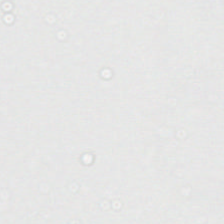Hematoxylin-and-eosin stained section — Q: What is shown in this field?
A: Background.
